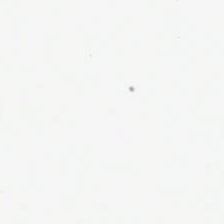H&E-stained tissue section — Histology → no tissue.
